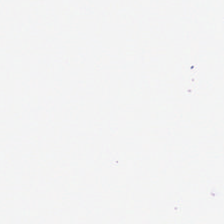Stain: H&E.
Field content: empty background.
